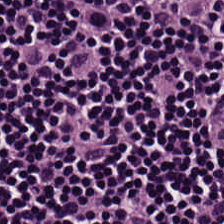Stain: hematoxylin-and-eosin stained section.
Predominant tissue: lymphocytic infiltrate.
